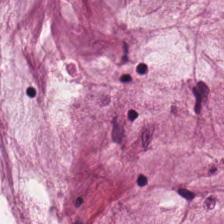Hematoxylin and eosin — The predominant tissue is mucus.
